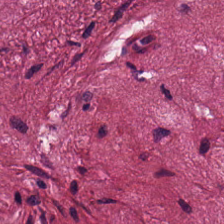224×224 pixel tile · 0.5 microns per pixel · H&E-stained tissue section. The predominant tissue is tumor stroma.
